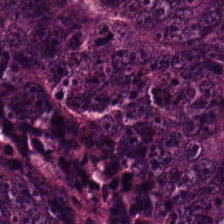Tissue = malignant epithelium.
